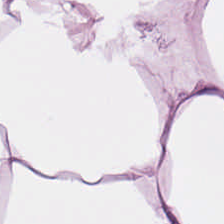WSI patch; hematoxylin-and-eosin stained section; FFPE — Tissue type: adipocytes.
